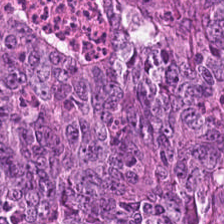H&E — This field is colorectal adenocarcinoma epithelium.
